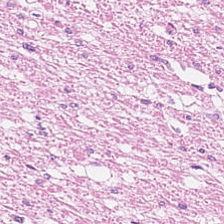FFPE · H&E stain.
Histology → smooth muscle.
